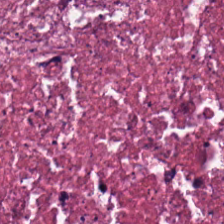This field is debris.
